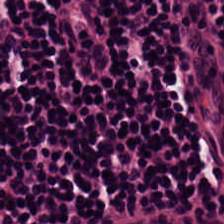FFPE · H&E · 224×224 pixel tile — Predominantly lymphocyte aggregate.
